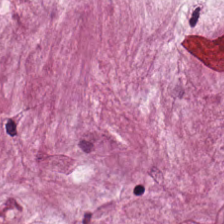Hematoxylin-and-eosin stained section; 20× equivalent magnification.
Tissue type: mucus.
